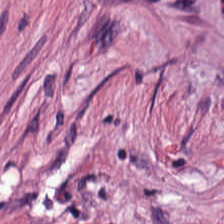FFPE tissue section · hematoxylin-and-eosin stained section — Tissue type — tumor-associated stroma.
